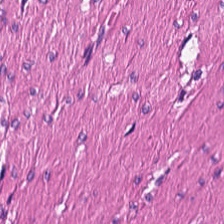Q: What is shown here?
A: The field shows smooth-muscle tissue.
